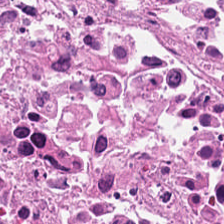224×224 px patch. Hematoxylin-and-eosin stained section.
Predominantly debris.
